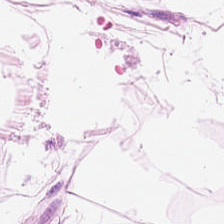Whole-slide-image patch · H&E-stained tissue section.
Q: What does this patch show?
A: The field shows adipose tissue.
